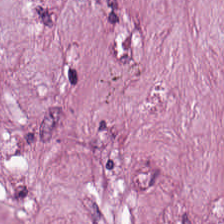Hematoxylin and eosin — Predominant tissue = cancer-associated stroma.
